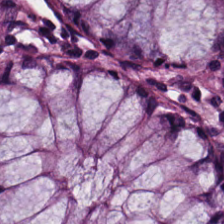Q: Identify the tissue.
A: Benign colonic mucosa.
